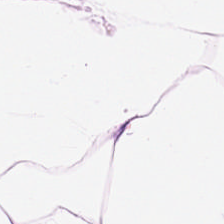H&E-stained tissue section · 0.5 µm/px — Q: Classify this patch.
A: The field shows fat tissue.
